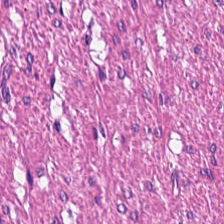Brightfield; hematoxylin-and-eosin stained section; 0.5 microns per pixel. Q: Classify this patch.
A: The field shows smooth muscle.
